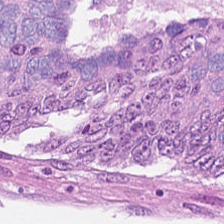Tissue class = colorectal adenocarcinoma epithelium.
